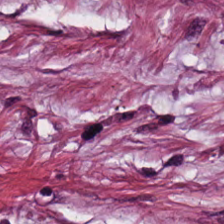H&E stain · 224×224 pixel tile — The tissue here is tumor-associated stroma.
